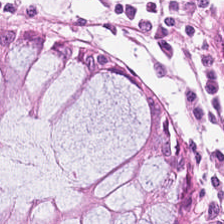Showing normal colon mucosa.
